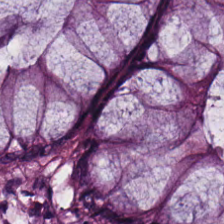224×224 pixel tile; H&E-stained tissue section. Benign colonic mucosa.
